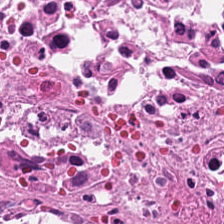H&E. 20× equivalent magnification. 224×224 pixel tile.
Predominantly cellular debris.
